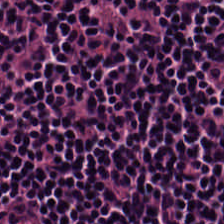The tissue here is lymphocytes.
